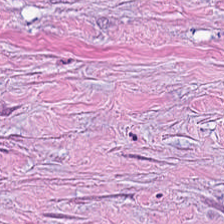The tissue type is cancer-associated stroma.
